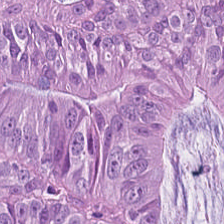Hematoxylin-and-eosin stained section.
Predominantly adenocarcinoma.
